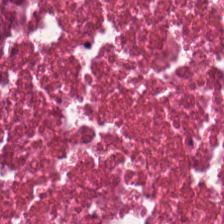Q: What tissue type is shown here?
A: The field shows debris.
